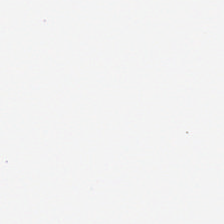Stain: hematoxylin and eosin.
Preparation: FFPE tissue section.
Field content: empty background.
